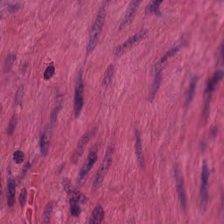H&E-stained tissue section · 224×224 pixel tile. The tissue is smooth muscle.
